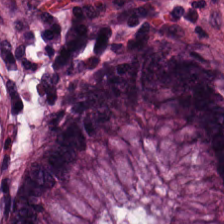Finding — non-neoplastic colon mucosa.
